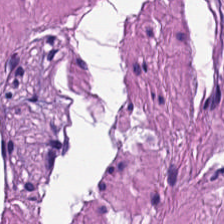H&E-stained tissue section; 0.5 microns per pixel. {"tissue_type": "muscularis"}
